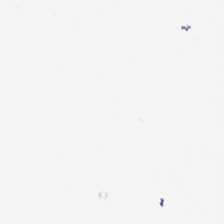Hematoxylin-and-eosin stained section. {"content": "background"}
